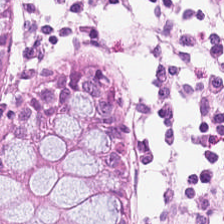0.5 µm/px. H&E-stained tissue section. Tissue class = non-neoplastic colon mucosa.
